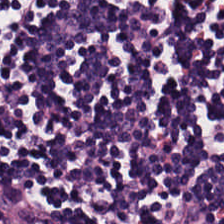The tissue class is lymphoid infiltrate.
